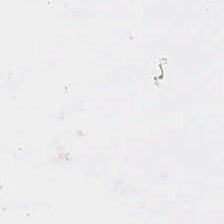20× equivalent magnification. H&E.
{"content": "empty background"}
